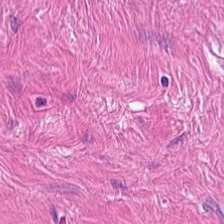H&E · WSI patch. Tissue type: muscularis.
